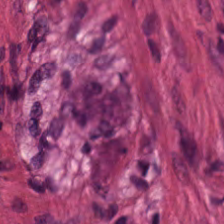H&E-stained tissue section.
This patch shows smooth-muscle tissue.
